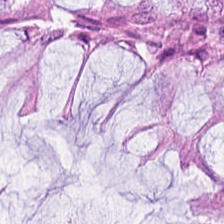H&E stain. The predominant tissue is non-neoplastic colon mucosa.
